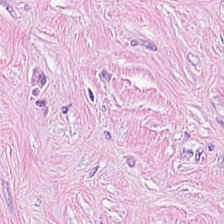Finding — tumor-associated stroma.
